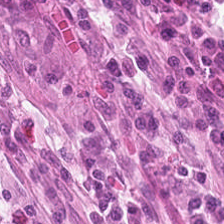Hematoxylin and eosin · 224×224 px tile.
Finding — normal colon mucosa.
